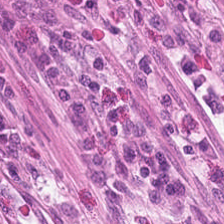Hematoxylin and eosin — Q: What type of tissue is this?
A: This is benign colonic mucosa.
